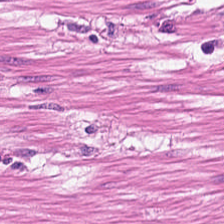0.5 µm/px. H&E-stained tissue section. Brightfield.
The tissue here is muscularis.
